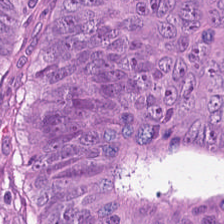Hematoxylin-and-eosin stained section.
This field is tumor epithelium.
